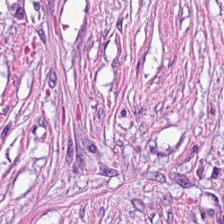20× equivalent magnification. Hematoxylin and eosin. Impression → tumor stroma.
